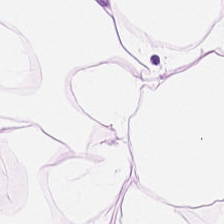Stain: H&E.
Tissue type: adipose tissue.
